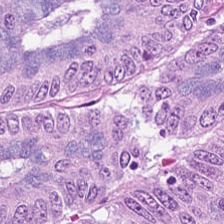Hematoxylin-and-eosin stained section. The tissue is colorectal adenocarcinoma epithelium.
